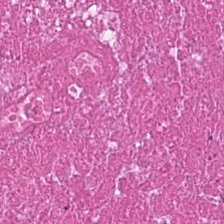H&E-stained tissue section; brightfield — The tissue class is debris.
